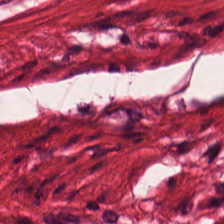Whole-slide-image patch. 0.5 microns per pixel. H&E-stained tissue section. Predominantly smooth-muscle tissue.
